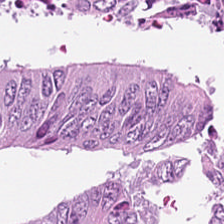WSI patch; 224×224 px patch; H&E stain.
Showing adenocarcinoma.
